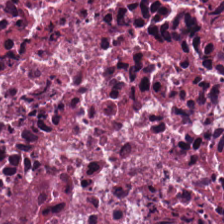Tissue = debris.
